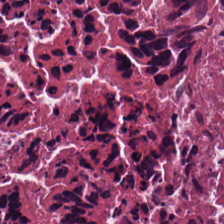Hematoxylin-and-eosin section: cellular debris.
